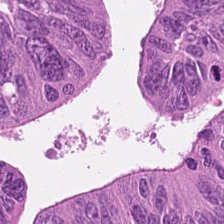Stain: H&E stain.
Tile size: 224×224 px tile.
Tissue: colorectal adenocarcinoma.
